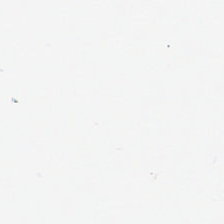Hematoxylin and eosin.
Impression → background.
